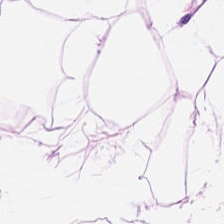Q: Classify this patch.
A: The field shows adipose tissue.
